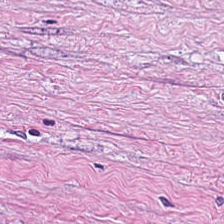Formalin-fixed paraffin-embedded section. H&E-stained tissue section — Showing tumor stroma.
